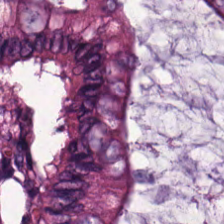20× equivalent magnification; WSI patch; H&E stain — Showing normal colon mucosa.
